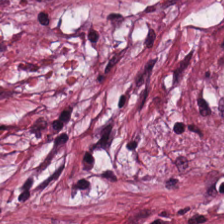Hematoxylin-and-eosin stained section.
{"tissue_type": "tumor stroma"}
